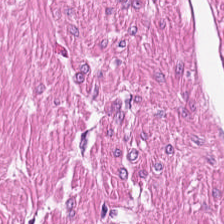H&E-stained tissue section showing smooth muscle.
